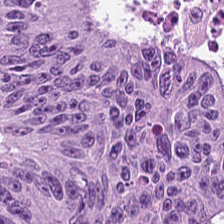H&E stain · 0.5 µm/px — Showing adenocarcinoma.
